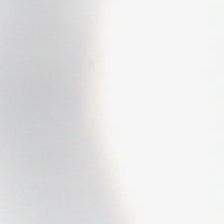224×224 px tile. Hematoxylin and eosin. 0.5 microns per pixel.
This patch shows background.
